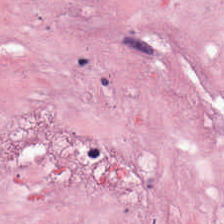H&E stain. Q: What is the predominant tissue type?
A: The field shows desmoplastic stroma.
